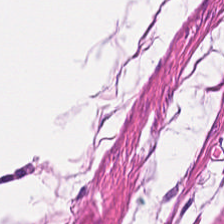Hematoxylin and eosin. Showing smooth muscle.
